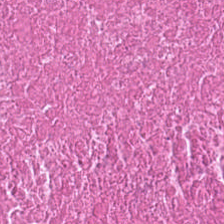Stain: H&E-stained tissue section.
Tissue class: debris.
